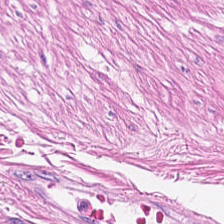H&E; whole-slide-image patch — This field is muscularis.
